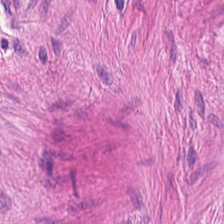Predominantly muscularis.
